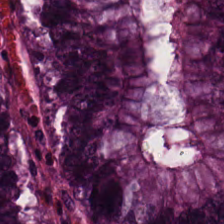Hematoxylin-and-eosin stained section.
Classification: normal colonic mucosa.
